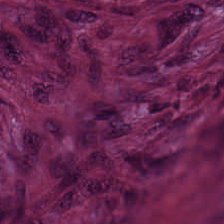Classification: desmoplastic stroma.
